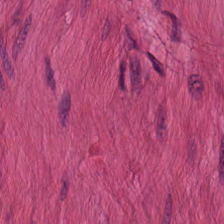Hematoxylin and eosin. 0.5 microns per pixel.
The predominant tissue is muscularis.
